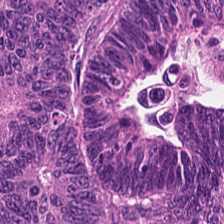0.5 µm per pixel · H&E-stained tissue section · brightfield. Impression — colorectal adenocarcinoma epithelium.
